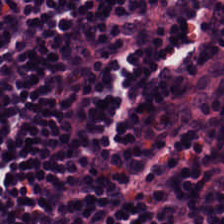224×224 pixel tile; hematoxylin and eosin. This field is lymphocytic infiltrate.
